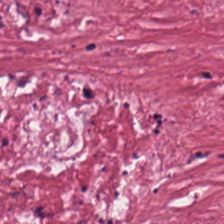Hematoxylin and eosin; 0.5 µm per pixel.
Showing tumor-associated stroma.
